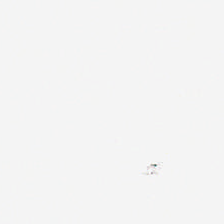Impression → background (no tissue).
